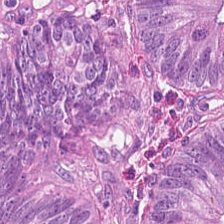Stain: H&E stain.
Tissue class: tumor epithelium.
